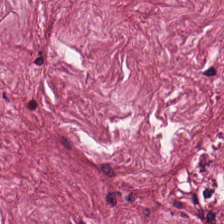0.5 µm per pixel. H&E. FFPE tissue section. Q: Identify the tissue.
A: Desmoplastic stroma.
